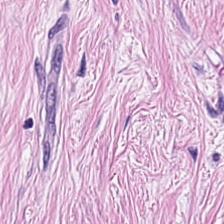This patch shows tumor-associated stroma.
